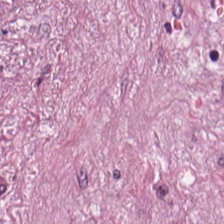Stain: H&E stain.
Tile size: 224×224 pixel tile.
Predominant tissue: tumor stroma.
